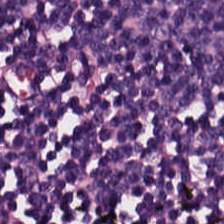Tissue type = lymphoid infiltrate.
